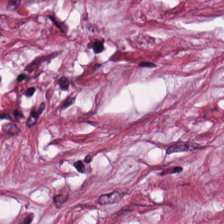H&E patch showing tumor-associated stroma.
